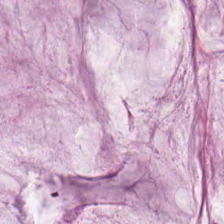Hematoxylin and eosin.
The predominant tissue is mucin.
